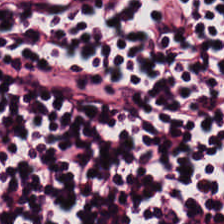H&E-stained tissue section. Tissue type — lymphocyte aggregate.
